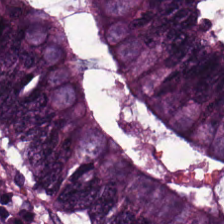H&E-stained tissue section showing colorectal adenocarcinoma epithelium.
